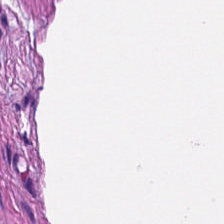0.5 microns per pixel · hematoxylin and eosin · formalin-fixed paraffin-embedded section — Histology — smooth muscle.
